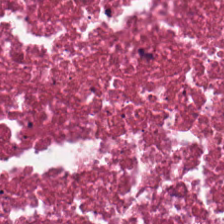Hematoxylin and eosin; brightfield microscopy. Tissue = cellular debris.
